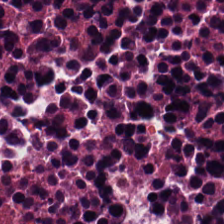{"tissue_type": "necrotic debris"}
